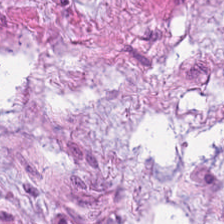Hematoxylin-and-eosin stained section.
The tissue here is smooth muscle.
